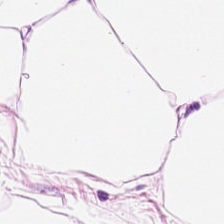Adipocytes.
